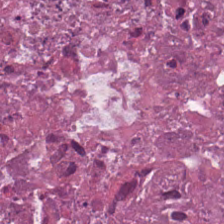H&E — {"tissue_type": "cellular debris"}
